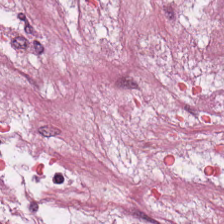H&E-stained tissue section. 224×224 px patch. 0.5 µm/px. Desmoplastic stroma.
